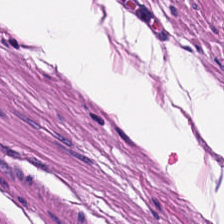H&E-stained tissue section — Impression — smooth muscle.
